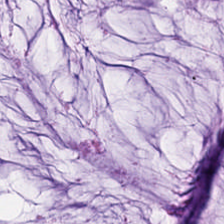Hematoxylin and eosin — The predominant tissue is mucin.
